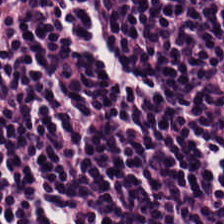Formalin-fixed paraffin-embedded section; H&E-stained tissue section.
Q: What does this patch show?
A: It is lymphocytes.
